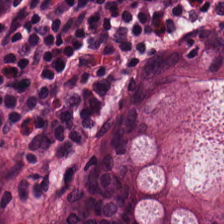FFPE; H&E stain. Tissue type = normal colonic mucosa.
